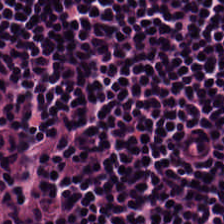Stain: H&E.
Predominant tissue: lymphocytic infiltrate.
